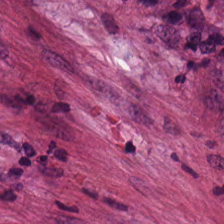H&E-stained tissue section.
{"tissue_type": "cancer-associated stroma"}
